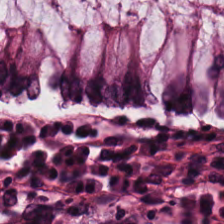WSI patch. H&E stain. Q: What tissue type is shown here?
A: Normal colon mucosa.
